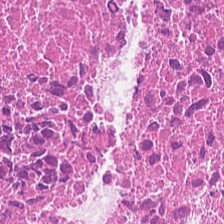0.5 µm per pixel; H&E-stained tissue section; 224×224 px tile — Finding — cellular debris.
